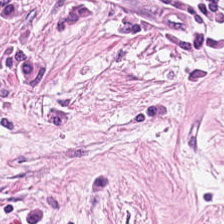Hematoxylin-and-eosin stained section — This patch shows cancer-associated stroma.
